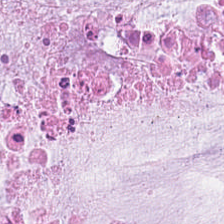Stain: hematoxylin and eosin.
Tissue type: mucin.
